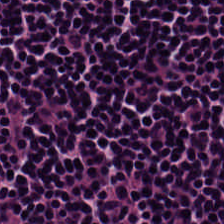H&E-stained tissue section — Lymphocytes.
